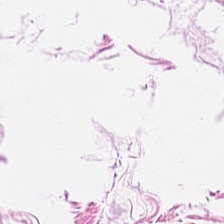Brightfield microscopy. 0.5 microns per pixel. H&E-stained tissue section. Q: What tissue type is shown here?
A: The field shows adipocytes.
